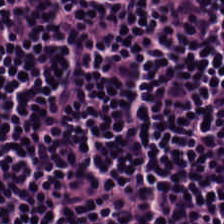H&E-stained tissue section; WSI patch. Q: What tissue is shown?
A: Lymphocytes.
